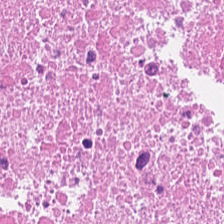H&E. Tissue type = necrotic debris.
